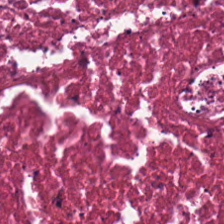224×224 pixel tile · H&E-stained tissue section — Cellular debris.
